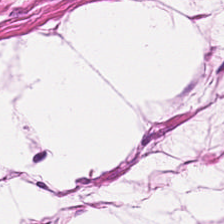Hematoxylin and eosin.
Histology — smooth-muscle tissue.
